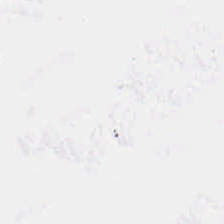Hematoxylin-and-eosin stained section. Histology — background (no tissue).
